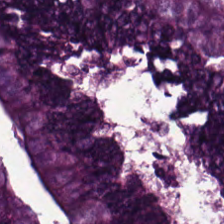Stain: hematoxylin-and-eosin stained section.
Resolution: 0.5 µm/px.
Predominant tissue: colorectal adenocarcinoma epithelium.
